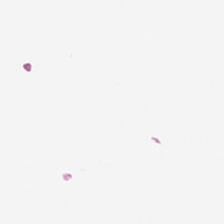H&E — Content — empty background.
